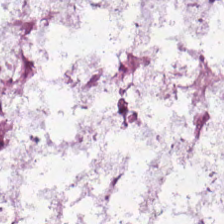Brightfield microscopy; 0.5 µm per pixel; H&E.
Predominantly mucin.
